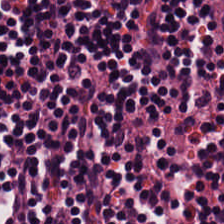Formalin-fixed paraffin-embedded section · brightfield · hematoxylin-and-eosin stained section. The tissue is lymphocyte aggregate.
